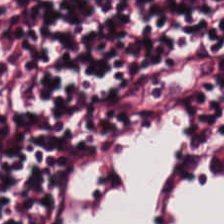H&E.
Q: What tissue is shown?
A: It is lymphocytic infiltrate.
